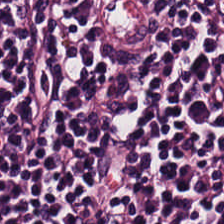H&E-stained tissue section.
The classification is lymphocytes.
